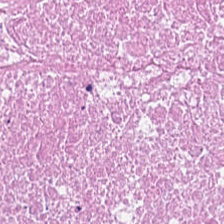H&E stain — This field is cellular debris.
